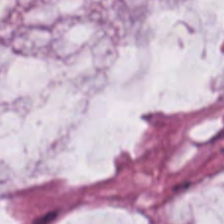H&E-stained tissue section.
Classification — extracellular mucin.
